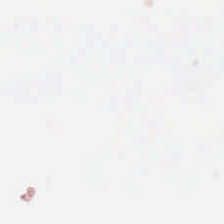Stain: hematoxylin and eosin.
Tile size: 224×224 pixel tile.
Acquisition: brightfield microscopy.
Field content: no tissue.
